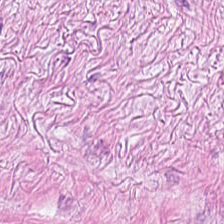H&E-stained tissue section — This field is desmoplastic stroma.
